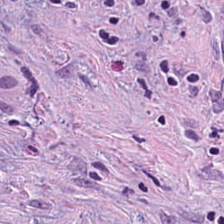Desmoplastic stroma.
